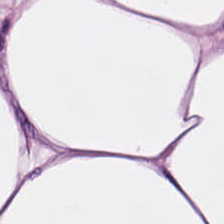Hematoxylin-and-eosin stained section — This patch shows adipocytes.
